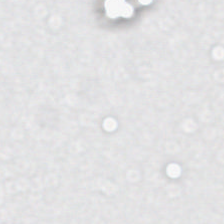H&E-stained tissue section.
This patch shows empty background.
